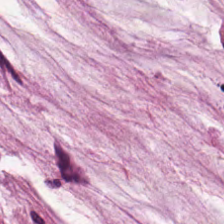Hematoxylin-and-eosin stained section — The predominant tissue is mucus.
